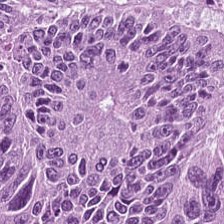Hematoxylin-and-eosin section: colorectal adenocarcinoma.
